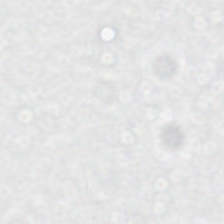Hematoxylin-and-eosin stained section.
Q: What is shown here?
A: Background.
